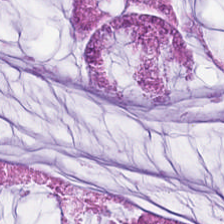{"tissue_type": "mucus"}
